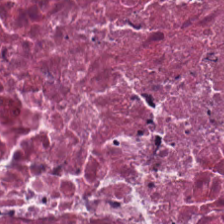Brightfield microscopy · hematoxylin and eosin.
The predominant tissue is necrotic debris.
